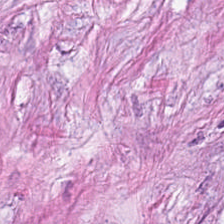Hematoxylin-and-eosin stained section — Q: Classify this patch.
A: It is cancer-associated stroma.
